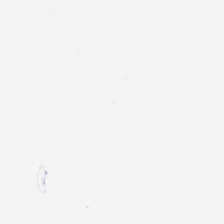Hematoxylin and eosin; formalin-fixed paraffin-embedded section — This field is background (no tissue).
